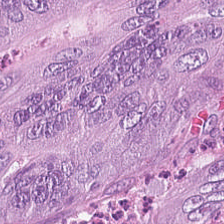H&E.
Predominantly adenocarcinoma.
